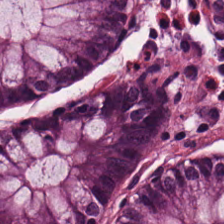WSI patch; hematoxylin-and-eosin stained section — Predominant tissue — normal colon mucosa.
